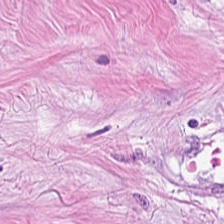Stain: H&E stain.
Tissue type: desmoplastic stroma.
